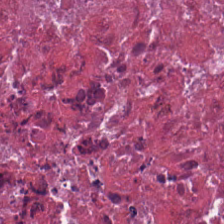H&E-stained tissue section.
This patch shows cellular debris.
